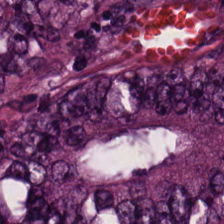Classification = adenocarcinoma.
